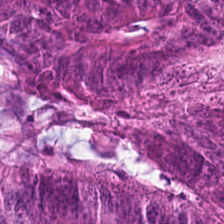Showing tumor epithelium.
